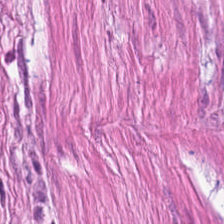224×224 pixel tile. Hematoxylin-and-eosin stained section — This field is smooth muscle.
